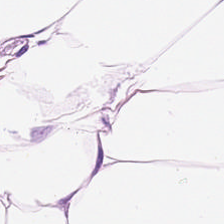H&E; 224×224 pixel tile; FFPE tissue section.
Q: What does this patch show?
A: The field shows adipose tissue.
